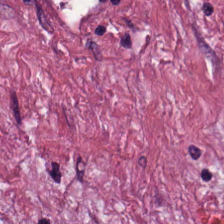Hematoxylin-and-eosin stained section.
Q: What type of tissue is this?
A: It is tumor-associated stroma.
